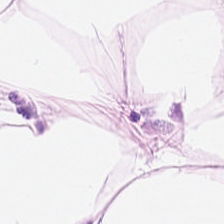0.5 µm/px; H&E — Predominant tissue = adipocytes.
